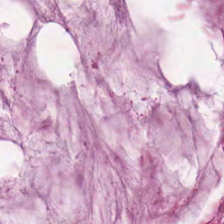Stain: hematoxylin and eosin.
Predominant tissue: mucin.
